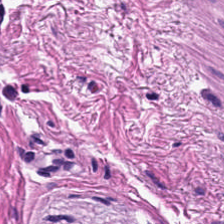H&E stain; brightfield microscopy. Predominantly smooth-muscle tissue.
